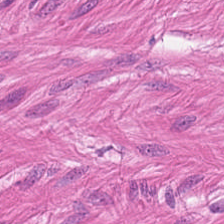H&E. Formalin-fixed paraffin-embedded section — Finding — smooth muscle.
